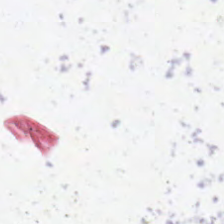Hematoxylin and eosin. Empty field — no tissue.
